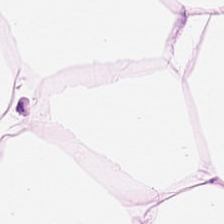H&E stain.
The classification is fat tissue.
